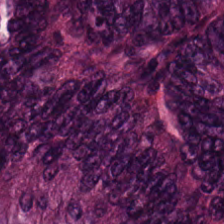224×224 px patch. H&E stain. Brightfield microscopy. Tissue class = adenocarcinoma.
